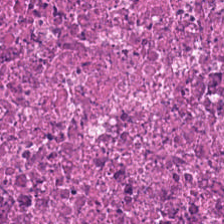Formalin-fixed paraffin-embedded section. Hematoxylin and eosin.
{"tissue_type": "debris"}
